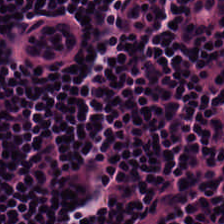Formalin-fixed paraffin-embedded section · hematoxylin-and-eosin stained section. The predominant tissue is lymphocytes.
